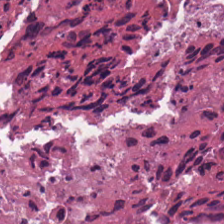Hematoxylin-and-eosin stained section — Tissue class = debris.
